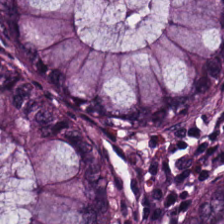H&E stain. 224×224 px patch — Predominant tissue = normal colonic mucosa.
